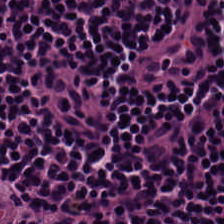{"tissue_type": "lymphocyte aggregate"}
